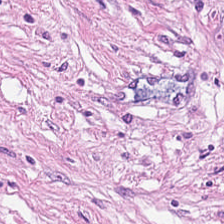224×224 pixel tile; hematoxylin-and-eosin stained section. Q: Classify this patch.
A: It is tumor stroma.
